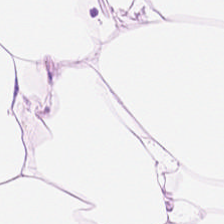The classification is adipose tissue.
